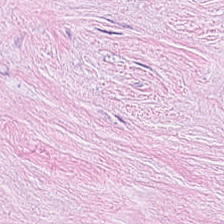H&E patch showing tumor stroma.
